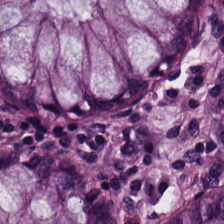H&E stain — Tissue type: benign colonic mucosa.
